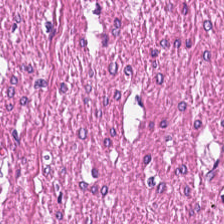H&E-stained tissue section. Q: What is shown here?
A: Smooth muscle.
